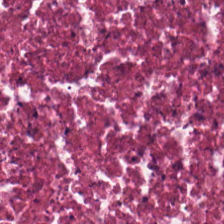Showing debris.
